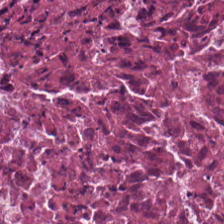Q: What is shown here?
A: This is necrotic debris.
